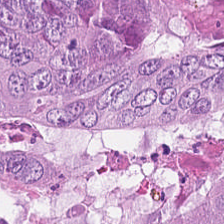H&E stain — The tissue here is colorectal adenocarcinoma epithelium.
